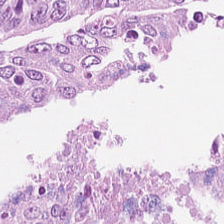Hematoxylin and eosin — Q: Classify this patch.
A: This is colorectal adenocarcinoma.
